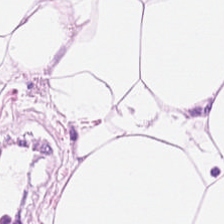H&E patch showing fat tissue.
